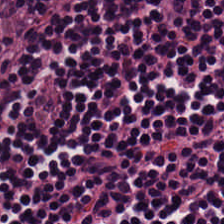Hematoxylin and eosin; WSI patch. Q: What tissue is shown?
A: It is lymphoid infiltrate.
